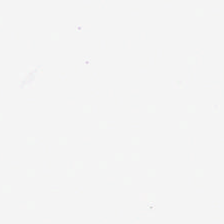H&E — Background — no tissue in this field.
